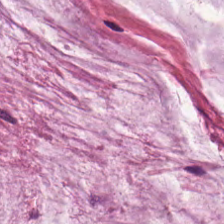H&E stain.
Q: What does this patch show?
A: Extracellular mucin.
